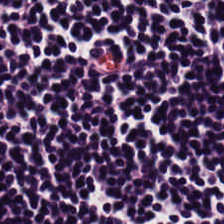H&E-stained tissue section. Formalin-fixed paraffin-embedded section. WSI patch. Predominantly lymphocytes.
